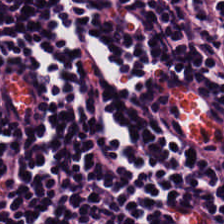224×224 px tile; hematoxylin and eosin; WSI patch — Predominantly lymphocyte aggregate.
